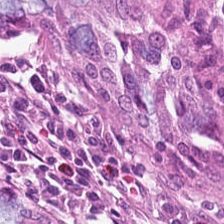Stain: H&E.
Resolution: 0.5 µm/px.
Classification: benign colonic mucosa.
